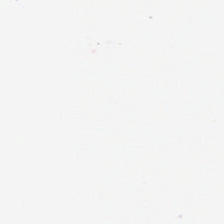Whole-slide-image patch. FFPE tissue section. H&E-stained tissue section. Impression — no tissue.
